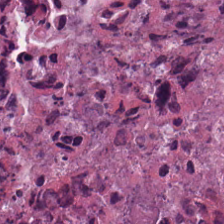Tissue — cellular debris.
